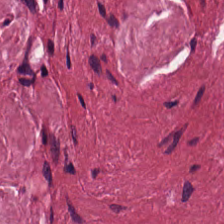H&E stain — The predominant tissue is desmoplastic stroma.
